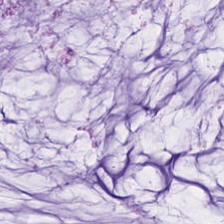0.5 microns per pixel. Hematoxylin-and-eosin stained section.
Showing mucus.
